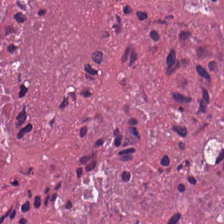0.5 µm/px · H&E stain. Histology — cellular debris.
